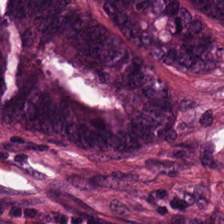H&E. Whole-slide-image patch. 20× equivalent magnification. Tissue type — tumor epithelium.
